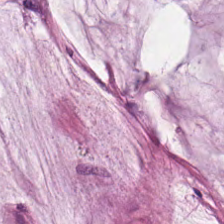Stain: H&E.
Tissue: extracellular mucin.
